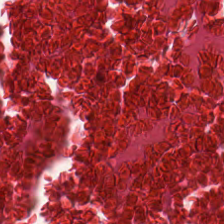Impression — cellular debris.
